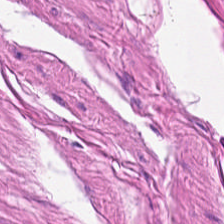Showing smooth-muscle tissue.
